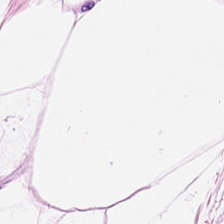Hematoxylin-and-eosin stained section. FFPE tissue section.
The tissue here is adipose.
